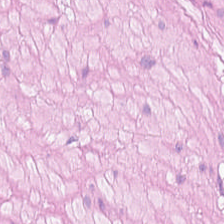Q: Identify the tissue.
A: It is muscularis.
